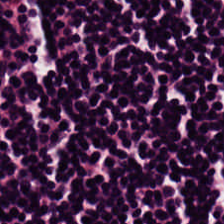0.5 µm/px · H&E stain · 224×224 pixel tile. The tissue is lymphocytes.
